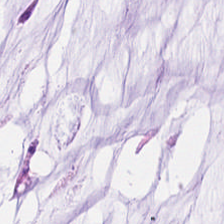Finding → mucus.
